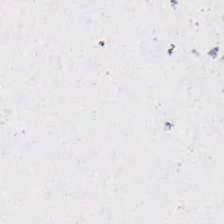Hematoxylin-and-eosin stained section. Q: What is shown here?
A: The field shows empty background.
